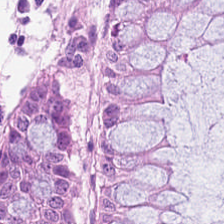H&E — Finding → benign colonic mucosa.
